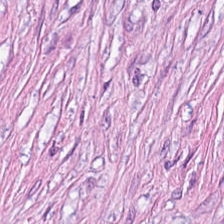Impression → tumor-associated stroma.
